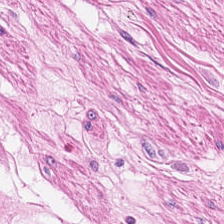H&E — {"tissue_type": "smooth muscle"}
